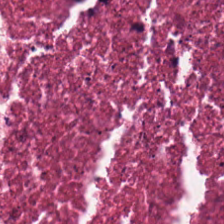H&E. Predominant tissue: necrotic debris.
